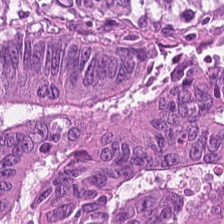Hematoxylin-and-eosin stained section; 0.5 µm/px.
Predominant tissue = adenocarcinoma.
